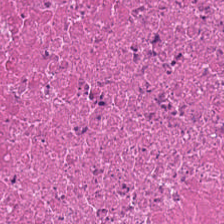Hematoxylin and eosin. Predominantly debris.
